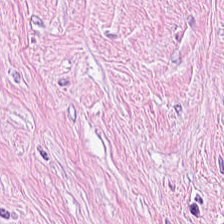Hematoxylin-and-eosin stained section. Brightfield microscopy.
Q: What is the predominant tissue type?
A: This is desmoplastic stroma.
